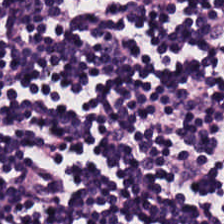Histology → lymphoid infiltrate.
